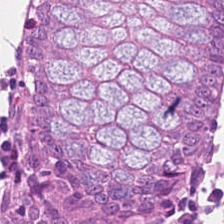Stain: hematoxylin and eosin.
Predominant tissue: normal colon mucosa.
